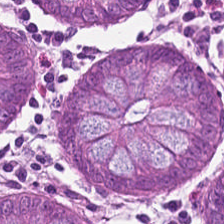Hematoxylin-and-eosin section: non-neoplastic colon mucosa.
